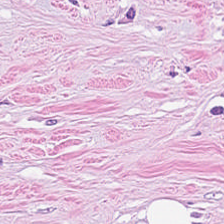Formalin-fixed paraffin-embedded section; 20× equivalent magnification; hematoxylin-and-eosin stained section.
The tissue here is cancer-associated stroma.
